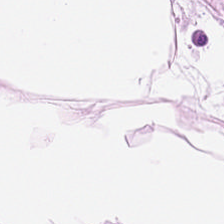Q: What is shown in this field?
A: It is adipose.
